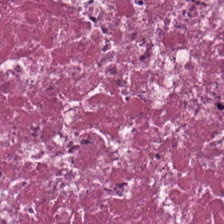224×224 pixel tile · H&E stain — Debris.
